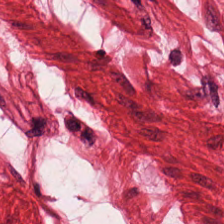{"tissue_type": "muscularis"}
